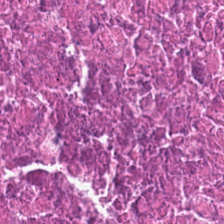Hematoxylin-and-eosin stained section. This patch shows necrotic debris.
